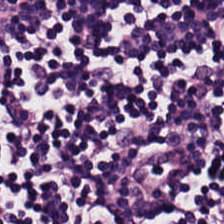FFPE · H&E stain · 224×224 pixel tile.
The predominant tissue is lymphoid infiltrate.
